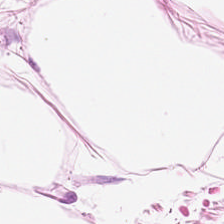FFPE tissue section. H&E.
Tissue class — adipocytes.
